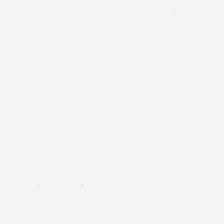Stain: hematoxylin-and-eosin stained section.
Content: background.
